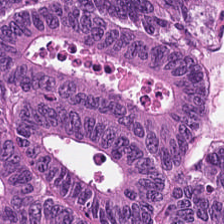224×224 px patch · hematoxylin and eosin. Tissue = malignant epithelium.
